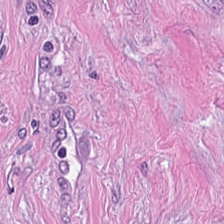H&E — Q: What is shown here?
A: The field shows tumor-associated stroma.
